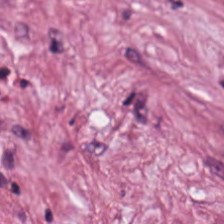0.5 microns per pixel · hematoxylin and eosin.
Finding → tumor stroma.
